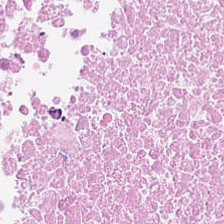WSI patch · hematoxylin-and-eosin stained section · FFPE.
Debris.
